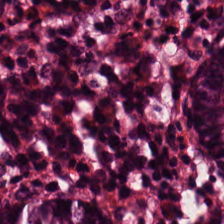Non-neoplastic colon mucosa.
